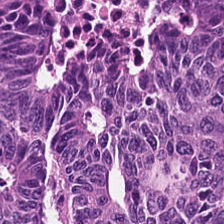224×224 px patch; hematoxylin and eosin; 20× equivalent magnification — This patch shows colorectal adenocarcinoma.
